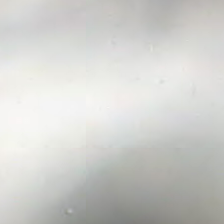Stain: H&E.
Content: no tissue.
